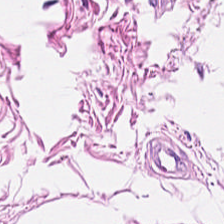Stain: hematoxylin and eosin.
Predominant tissue: smooth muscle.
